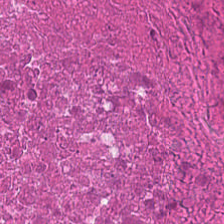0.5 microns per pixel. Brightfield. H&E stain.
Q: What tissue type is shown here?
A: This is cellular debris.
